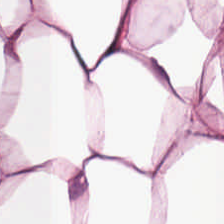H&E stain. This field is adipocytes.
